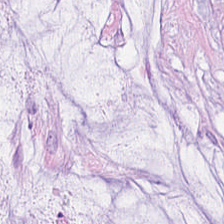Stain: hematoxylin-and-eosin stained section.
Acquisition: WSI patch.
Tissue class: extracellular mucin.
